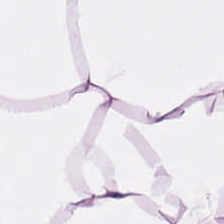H&E.
Predominantly adipose.
